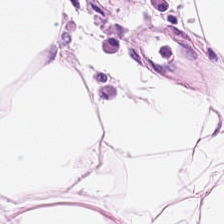Hematoxylin-and-eosin stained section. Predominantly fat tissue.
